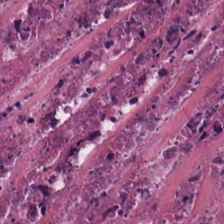Hematoxylin and eosin — Q: What tissue is shown?
A: It is debris.
